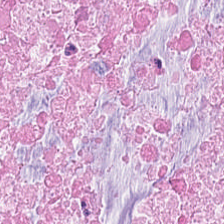The tissue is debris.
